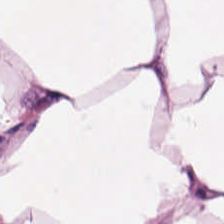Hematoxylin-and-eosin stained section — Showing fat tissue.
